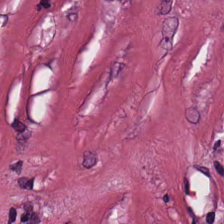H&E.
Q: What is shown in this field?
A: This is tumor-associated stroma.
